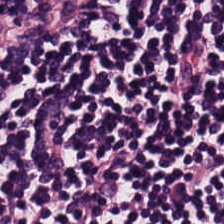Stain: H&E.
Preparation: formalin-fixed paraffin-embedded section.
Resolution: 0.5 µm/px.
Tissue class: lymphoid infiltrate.
